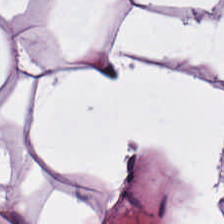Hematoxylin-and-eosin stained section. Brightfield. 20× equivalent magnification. Predominantly adipocytes.
